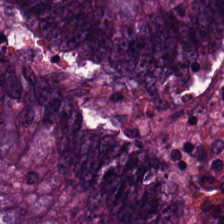Hematoxylin-and-eosin stained section. Tissue class — colorectal adenocarcinoma.
